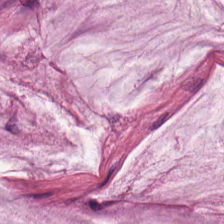Hematoxylin and eosin. Q: Classify this patch.
A: Mucus.
